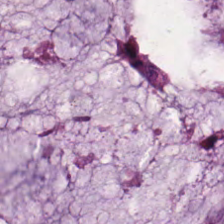H&E. Extracellular mucin.
